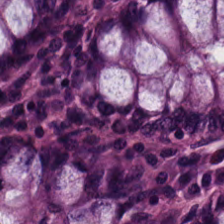Hematoxylin-and-eosin stained section. Histology — normal colonic mucosa.
